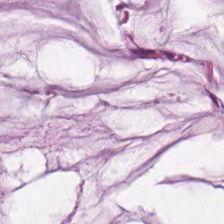Q: What is shown here?
A: This is mucus.
